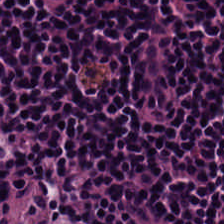Q: What tissue type is shown here?
A: This is lymphocytic infiltrate.
